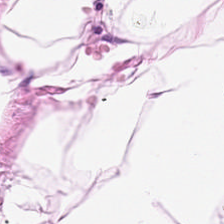Formalin-fixed paraffin-embedded section; 20× equivalent magnification; hematoxylin and eosin — Tissue: adipose tissue.
